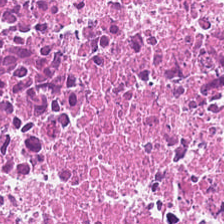Predominant tissue = necrotic debris.
